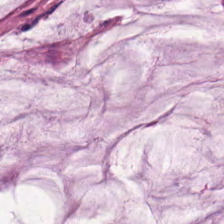H&E — The predominant tissue is extracellular mucin.
